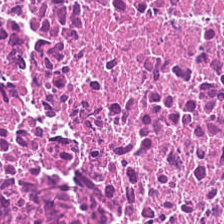H&E-stained tissue section; 224×224 px patch. The classification is cellular debris.
